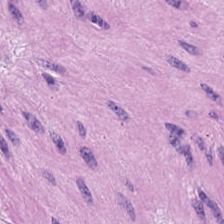H&E-stained section; the field shows smooth-muscle tissue.
